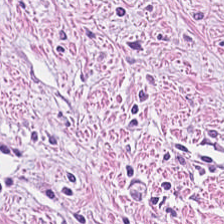H&E.
Tissue type = desmoplastic stroma.
